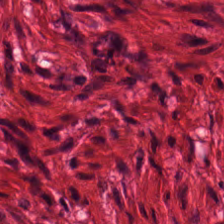Finding → smooth-muscle tissue.
